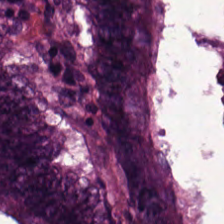H&E stain · 224×224 px tile. The tissue here is malignant epithelium.
